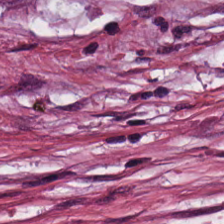Q: Classify this patch.
A: It is tumor-associated stroma.
